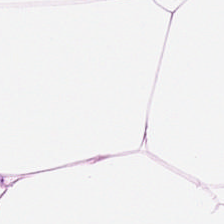Classification — adipose tissue.
